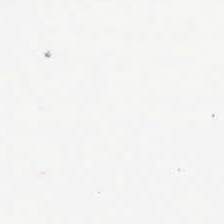H&E stain.
The field content is background (no tissue).
